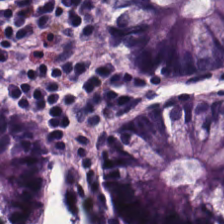224×224 px tile. Hematoxylin-and-eosin stained section — Classification: normal colon mucosa.
